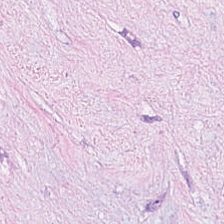H&E stain · 224×224 px patch · 0.5 microns per pixel. This patch shows desmoplastic stroma.
